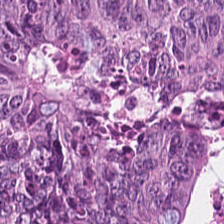Hematoxylin-and-eosin stained section. The tissue here is colorectal adenocarcinoma.
